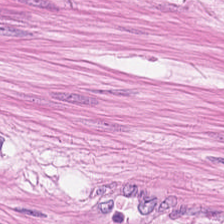Whole-slide-image patch; H&E — The predominant tissue is muscularis.
